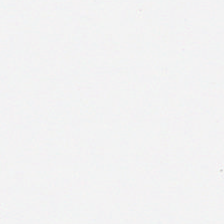Q: What is shown here?
A: The field shows background (no tissue).
